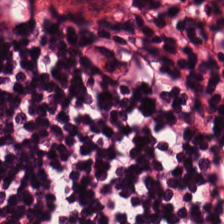H&E-stained tissue section · 20× equivalent magnification.
Predominantly lymphoid infiltrate.
